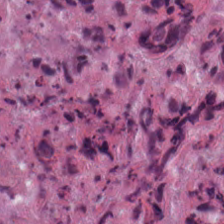Stain: H&E stain.
Preparation: formalin-fixed paraffin-embedded section.
Tissue type: cellular debris.
